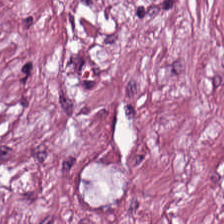The tissue here is tumor stroma.
